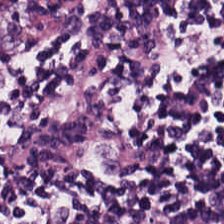Histology — lymphoid infiltrate.
